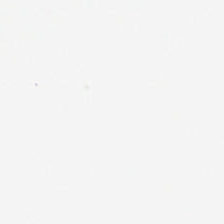Brightfield microscopy · 0.5 microns per pixel · hematoxylin and eosin.
Finding — no tissue.
